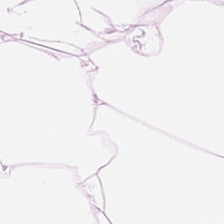224×224 px patch; H&E-stained tissue section — Q: What type of tissue is this?
A: Adipose tissue.
